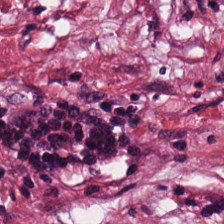224×224 px patch; H&E stain — Showing tumor-associated stroma.
